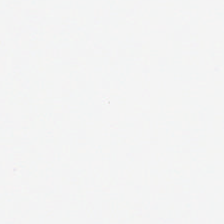224×224 px patch. H&E stain.
Background — no tissue in this field.
